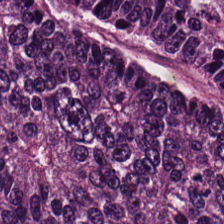Formalin-fixed paraffin-embedded section · brightfield · hematoxylin and eosin — This patch shows malignant epithelium.
